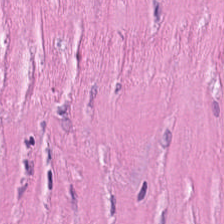Tissue type = desmoplastic stroma.
